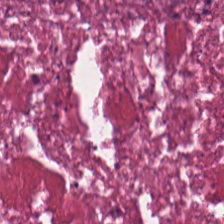Stain: H&E-stained tissue section.
Tile size: 224×224 px patch.
Tissue: cellular debris.
